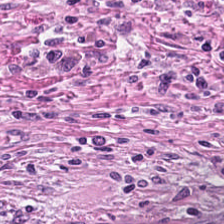H&E stain — This patch shows desmoplastic stroma.
